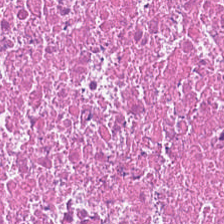Hematoxylin-and-eosin stained section.
Necrotic debris.
